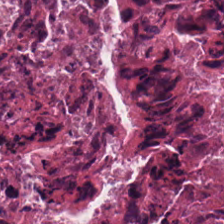Hematoxylin-and-eosin stained section. Tissue — necrotic debris.
